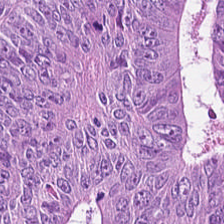Hematoxylin and eosin · FFPE tissue section.
This field is malignant epithelium.
